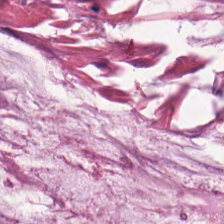H&E-stained tissue section — Q: What tissue type is shown here?
A: This is mucus.
